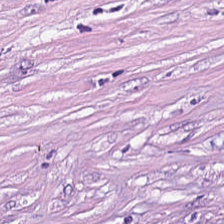Tumor stroma.
